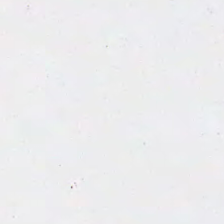0.5 microns per pixel · H&E stain — Empty field — empty background.
